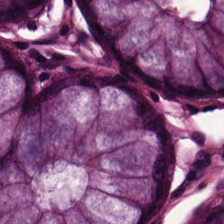This patch shows non-neoplastic colon mucosa.
